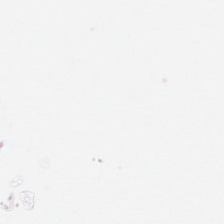Stain: H&E-stained tissue section.
Content: background.
